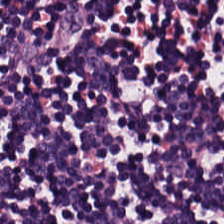Q: What tissue is shown?
A: This is lymphoid infiltrate.
